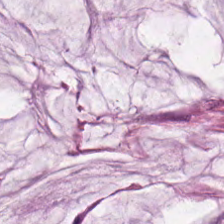H&E-stained tissue section.
Finding → mucin.
